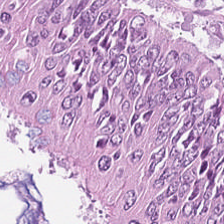Hematoxylin-and-eosin stained section; 0.5 microns per pixel. Q: What tissue is shown?
A: This is tumor epithelium.
